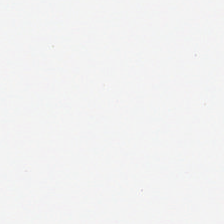{"content": "background"}
